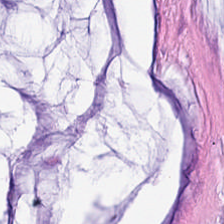H&E stain; 224×224 px patch; whole-slide-image patch. The tissue here is mucin.
